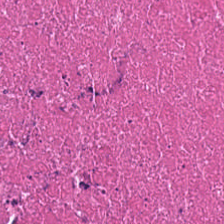The tissue class is cellular debris.
